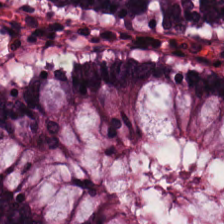Stain: H&E.
Classification: normal colonic mucosa.
